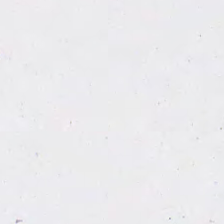H&E stain — Q: What does this patch show?
A: The field shows empty background.
